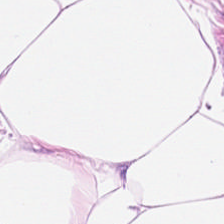0.5 µm/px; H&E. The predominant tissue is adipocytes.
